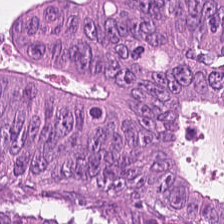H&E.
Q: What is shown in this field?
A: It is adenocarcinoma.
